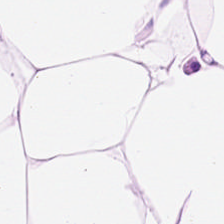The predominant tissue is adipose.
